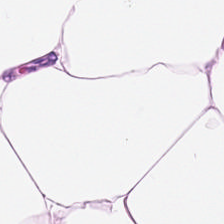Hematoxylin-and-eosin stained section.
Tissue class — adipose tissue.
